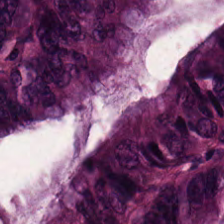H&E. FFPE tissue section. Showing adenocarcinoma.
